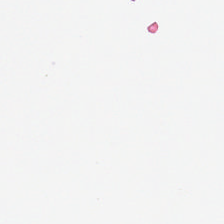H&E — Background — no tissue in this field.
